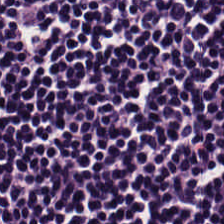Formalin-fixed paraffin-embedded section · hematoxylin-and-eosin stained section.
This patch shows lymphoid infiltrate.
